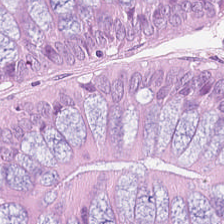Hematoxylin-and-eosin stained section — Tissue type: non-neoplastic colon mucosa.
